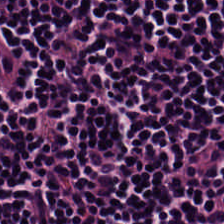H&E — Q: What type of tissue is this?
A: Lymphocytic infiltrate.
